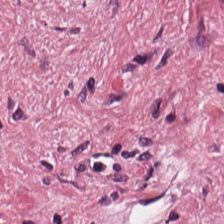{"tissue_type": "desmoplastic stroma"}
